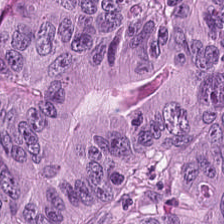Q: Identify the tissue.
A: The field shows malignant epithelium.
